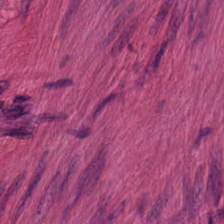The classification is muscularis.
